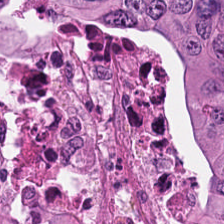Brightfield. H&E. {"tissue_type": "tumor epithelium"}
